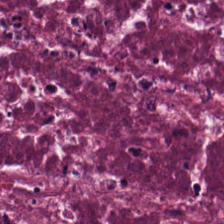H&E · brightfield. The predominant tissue is necrotic debris.
